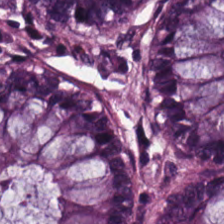Hematoxylin and eosin — Q: What does this patch show?
A: This is non-neoplastic colon mucosa.
